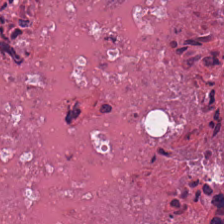Stain: H&E-stained tissue section.
Tissue: necrotic debris.
